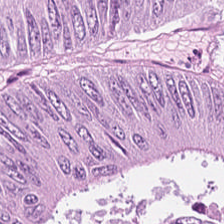224×224 pixel tile; hematoxylin and eosin. The tissue type is adenocarcinoma.
